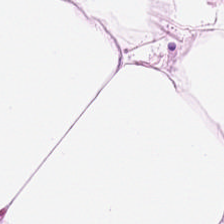H&E stain; 224×224 pixel tile. This patch shows adipocytes.
